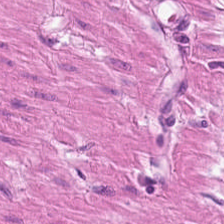Stain: H&E-stained tissue section.
Tile size: 224×224 px tile.
Tissue: muscularis.
